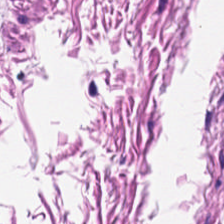20× equivalent magnification; H&E; whole-slide-image patch — Q: What is shown here?
A: Muscularis.
